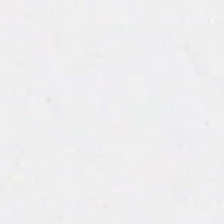Hematoxylin and eosin.
Background — no tissue in this field.
